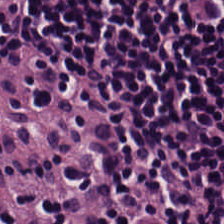Stain: hematoxylin-and-eosin stained section.
Tissue type: lymphocytes.
